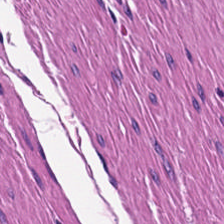Showing smooth-muscle tissue.
